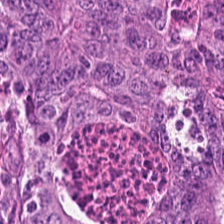Hematoxylin-and-eosin stained section — The tissue is adenocarcinoma.
